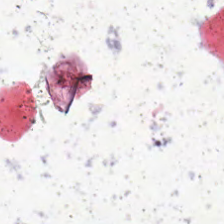Q: What does this patch show?
A: It is no tissue.
